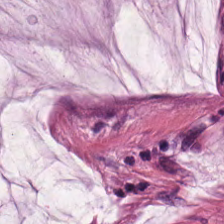H&E-stained tissue section.
Classification: extracellular mucin.
